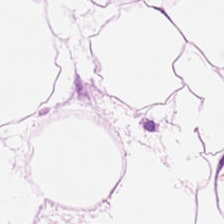Brightfield; H&E.
Impression → adipose tissue.
